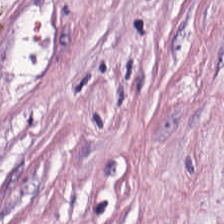Stain: H&E-stained tissue section.
Predominant tissue: tumor-associated stroma.
